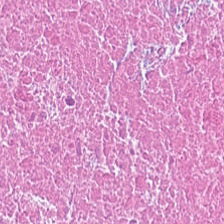FFPE tissue section. Hematoxylin and eosin.
The classification is necrotic debris.
